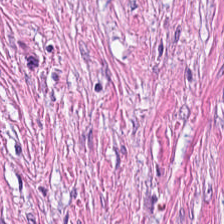Predominantly tumor stroma.
